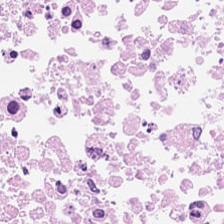H&E.
Histology — debris.
